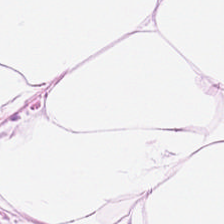H&E-stained tissue section — The predominant tissue is adipocytes.
